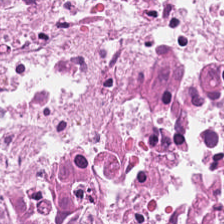Hematoxylin and eosin — {"tissue_type": "cellular debris"}
